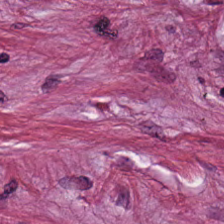H&E stain.
Tissue class = tumor-associated stroma.
